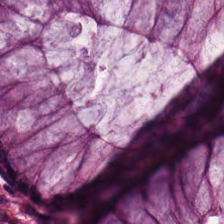H&E stain — The predominant tissue is non-neoplastic colon mucosa.
